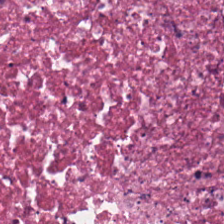H&E stain — Q: What is shown here?
A: It is necrotic debris.
